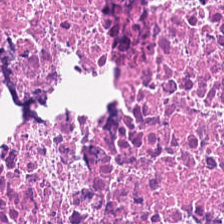The predominant tissue is cellular debris.
